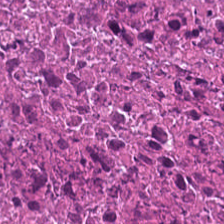H&E · whole-slide-image patch. Finding → necrotic debris.
